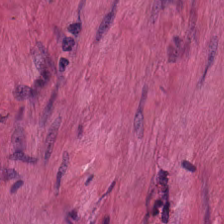H&E — The tissue is smooth-muscle tissue.
